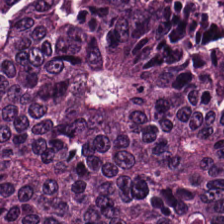FFPE; H&E; 224×224 px tile — Q: What is the predominant tissue type?
A: The field shows tumor epithelium.
